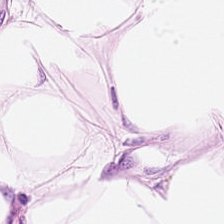Hematoxylin-and-eosin stained section — Tissue class: fat tissue.
